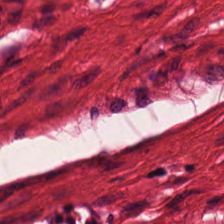Hematoxylin-and-eosin stained section.
Showing smooth-muscle tissue.
